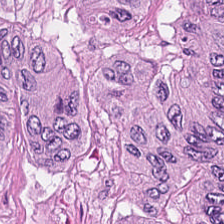H&E stain. Impression — colorectal adenocarcinoma.
